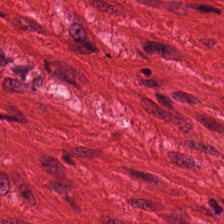H&E-stained tissue section. Q: Classify this patch.
A: Smooth-muscle tissue.
